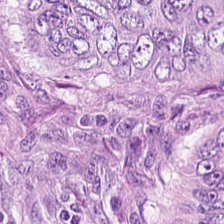H&E-stained tissue section. Tissue class: tumor epithelium.
